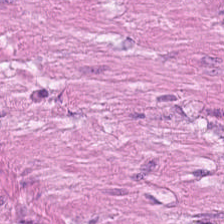224×224 pixel tile · H&E. This patch shows smooth-muscle tissue.
